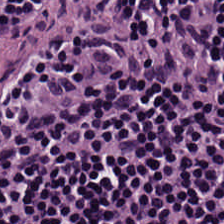Q: What is the predominant tissue type?
A: It is lymphocytic infiltrate.
